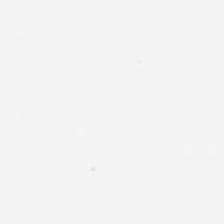Stain: hematoxylin and eosin.
Acquisition: brightfield.
Tile size: 224×224 px patch.
Content: background.
